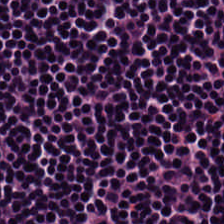H&E stain — Tissue: lymphoid infiltrate.
